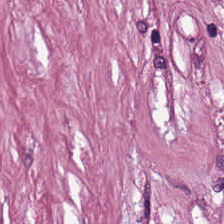H&E-stained tissue section; formalin-fixed paraffin-embedded section.
Q: What tissue type is shown here?
A: This is cancer-associated stroma.
